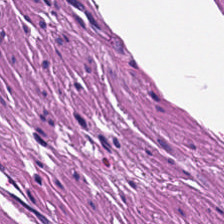H&E stain. 224×224 px tile.
Tissue class = smooth-muscle tissue.
